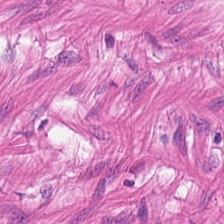H&E stain. The predominant tissue is smooth muscle.
